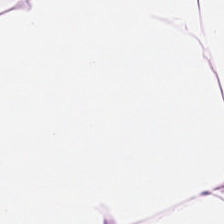Hematoxylin and eosin · 20× equivalent magnification. The tissue type is fat tissue.
